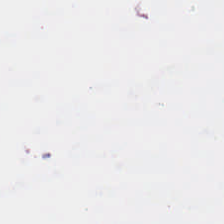WSI patch · 224×224 px tile · H&E-stained tissue section — This patch shows background.
